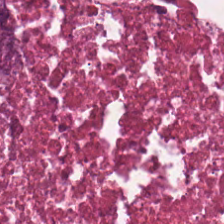FFPE tissue section; H&E; 224×224 pixel tile. Finding — cellular debris.
